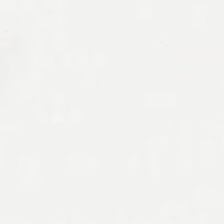Hematoxylin-and-eosin stained section. 20× equivalent magnification.
No tissue present; background only.
